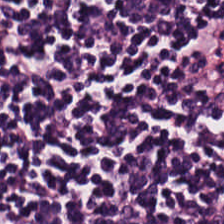FFPE tissue section · 224×224 px patch · hematoxylin-and-eosin stained section — This patch shows lymphocyte aggregate.
